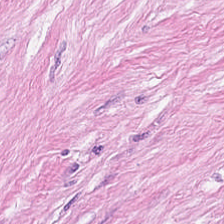H&E-stained tissue section. Finding — tumor-associated stroma.
